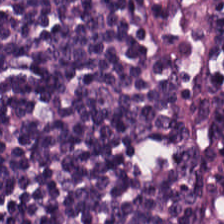Histology → lymphocytes.
